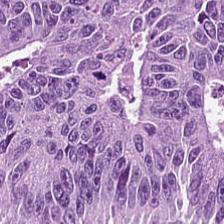20× equivalent magnification; 224×224 px patch; hematoxylin-and-eosin stained section.
The predominant tissue is malignant epithelium.
